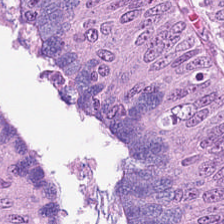Stain: hematoxylin and eosin.
Tissue: adenocarcinoma.
